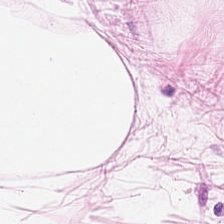Hematoxylin-and-eosin stained section — Tissue type = adipocytes.
